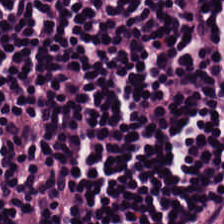H&E. FFPE tissue section — Q: What is shown in this field?
A: It is lymphoid infiltrate.
